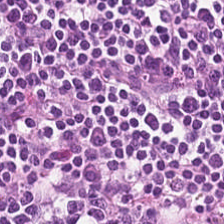224×224 pixel tile; hematoxylin-and-eosin stained section — This patch shows lymphocytic infiltrate.
